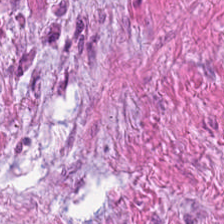H&E stain; 20× equivalent magnification — Predominant tissue — smooth muscle.
